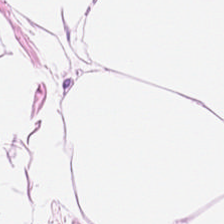Stain: H&E.
Resolution: 20× equivalent magnification.
Acquisition: brightfield.
Tissue class: adipocytes.
